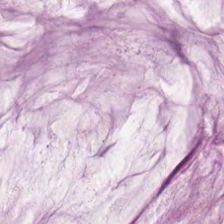Hematoxylin-and-eosin stained section · whole-slide-image patch. Q: What tissue is shown?
A: This is mucus.
